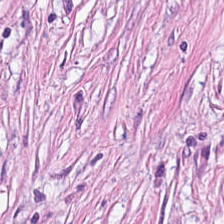H&E stain.
Showing desmoplastic stroma.
